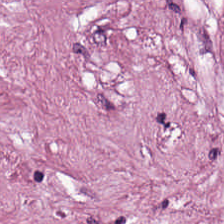Hematoxylin-and-eosin stained section. {"tissue_type": "desmoplastic stroma"}
